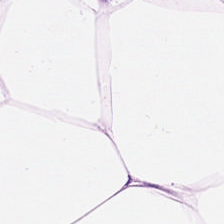Stain: H&E.
Predominant tissue: adipose.
